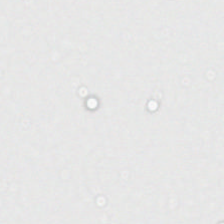Hematoxylin-and-eosin stained section · whole-slide-image patch — Empty field — empty background.
